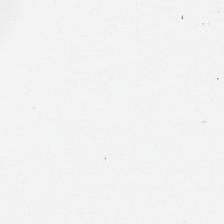Stain: hematoxylin and eosin.
Tile size: 224×224 px tile.
Content: empty background.
